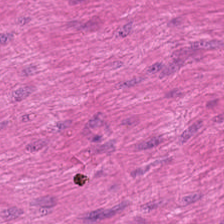0.5 µm/px · hematoxylin-and-eosin stained section. Q: What is shown here?
A: The field shows muscularis.
